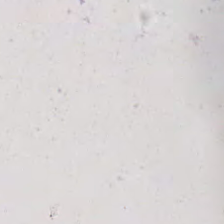0.5 µm per pixel. H&E. 224×224 pixel tile — This field is background (no tissue).
